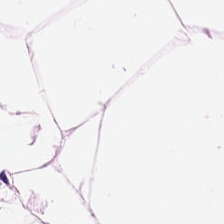H&E. Brightfield microscopy.
The predominant tissue is adipocytes.
